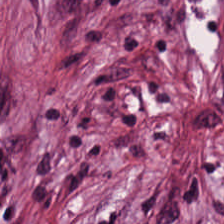Hematoxylin and eosin. Showing cancer-associated stroma.
